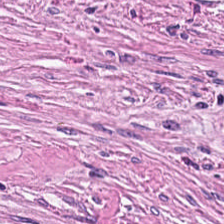20× equivalent magnification; hematoxylin-and-eosin stained section. This field is tumor-associated stroma.
